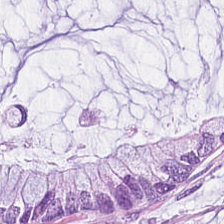Stain: H&E-stained tissue section.
Tissue type: mucin.
